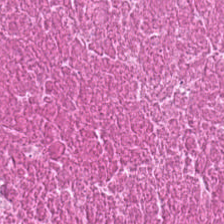Stain: hematoxylin-and-eosin stained section.
Predominant tissue: cellular debris.
